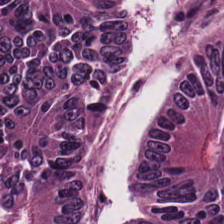H&E stain.
Classification — colorectal adenocarcinoma epithelium.
